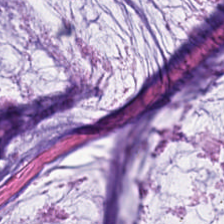0.5 µm per pixel · H&E-stained tissue section · 224×224 pixel tile. Mucus.
